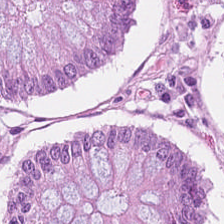Hematoxylin-and-eosin stained section; 0.5 µm/px — Impression → benign colonic mucosa.
